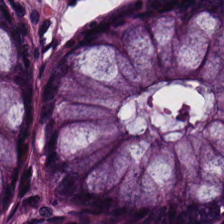H&E-stained tissue section.
Q: What is shown in this field?
A: Normal colon mucosa.
